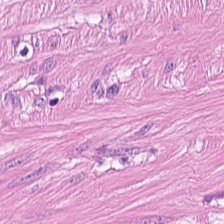H&E stain · FFPE tissue section · whole-slide-image patch. Tissue class — smooth-muscle tissue.
